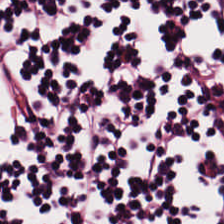WSI patch; H&E-stained tissue section. This patch shows lymphoid infiltrate.
